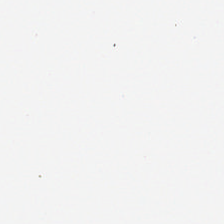Stain: hematoxylin-and-eosin stained section.
Field content: empty background.
